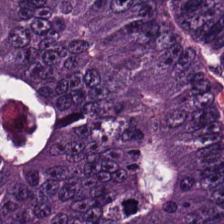Stain: H&E-stained tissue section.
Acquisition: brightfield microscopy.
Tissue class: adenocarcinoma.
